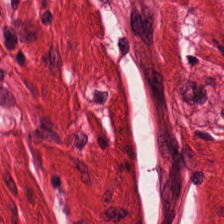Stain: H&E-stained tissue section.
Tile size: 224×224 pixel tile.
Preparation: FFPE.
Classification: smooth-muscle tissue.
